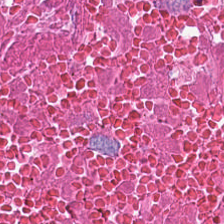224×224 px tile; hematoxylin-and-eosin stained section.
Predominantly debris.
